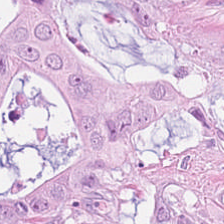Hematoxylin and eosin; 0.5 µm per pixel — Predominantly colorectal adenocarcinoma.
